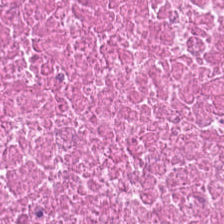0.5 microns per pixel · H&E-stained tissue section · 224×224 px patch. Q: What does this patch show?
A: It is debris.
